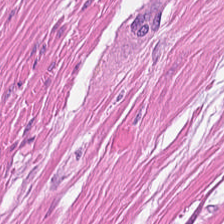H&E stain.
Impression — smooth muscle.
